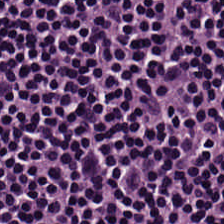H&E — Predominant tissue: lymphoid infiltrate.
